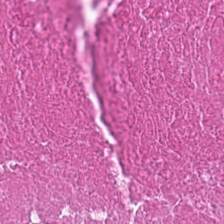H&E stain.
Tissue type: cellular debris.
